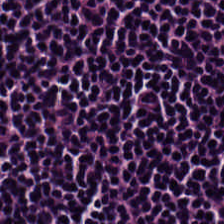Tissue = lymphocytic infiltrate.
